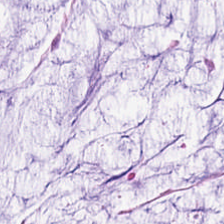WSI patch; H&E.
The predominant tissue is mucin.
